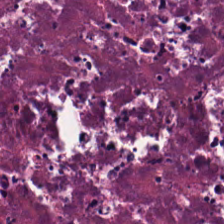0.5 µm per pixel. Hematoxylin and eosin — This patch shows debris.
